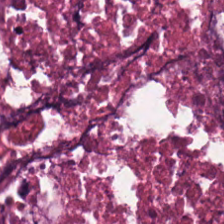Hematoxylin and eosin. Tissue type: necrotic debris.
